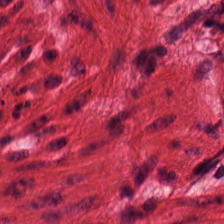Hematoxylin-and-eosin stained section — Tissue: muscularis.
